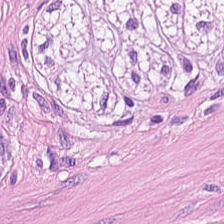{"tissue_type": "muscularis"}
